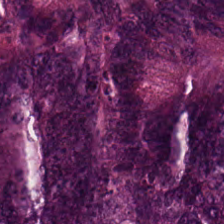Showing malignant epithelium.
